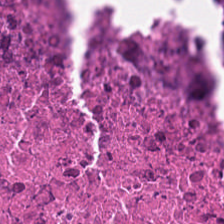Stain: hematoxylin and eosin.
Preparation: FFPE tissue section.
Tile size: 224×224 px patch.
Predominant tissue: necrotic debris.
